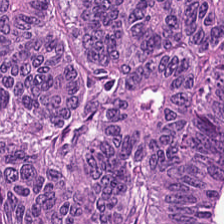Histology — adenocarcinoma.
